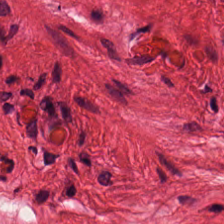Q: What type of tissue is this?
A: Muscularis.
